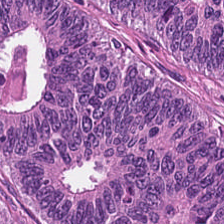20× equivalent magnification. 224×224 px tile. H&E — Q: What is the predominant tissue type?
A: It is colorectal adenocarcinoma epithelium.
